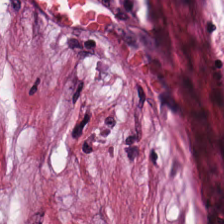H&E-stained tissue section · brightfield microscopy.
Q: What does this patch show?
A: Desmoplastic stroma.
